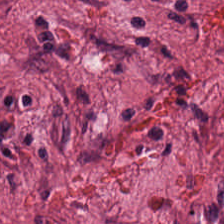Hematoxylin-and-eosin stained section · FFPE tissue section · 224×224 pixel tile.
The classification is tumor stroma.
